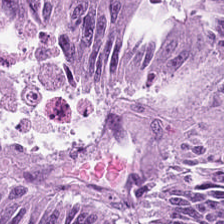0.5 microns per pixel; hematoxylin and eosin — Tissue = malignant epithelium.
